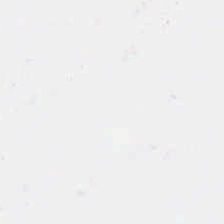H&E. WSI patch. Q: What is shown in this field?
A: Empty background.
